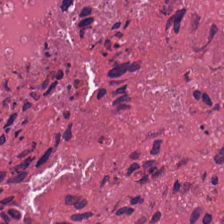Q: What is shown in this field?
A: It is cellular debris.
